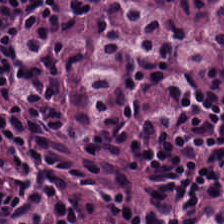Hematoxylin-and-eosin stained section — Impression → lymphocytic infiltrate.
